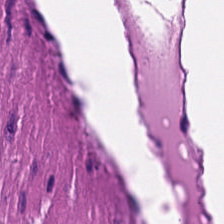Predominantly smooth-muscle tissue.
